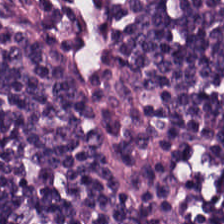224×224 px patch; hematoxylin-and-eosin stained section; 0.5 µm/px — Tissue type — lymphocyte aggregate.
